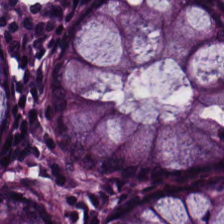H&E-stained tissue section.
Impression → normal colonic mucosa.
